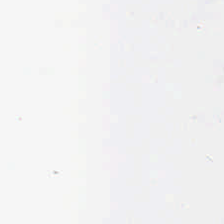H&E.
This field is background (no tissue).
